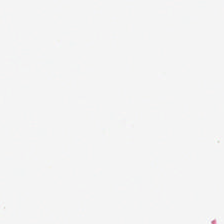224×224 pixel tile. H&E-stained tissue section. Empty field — empty background.
